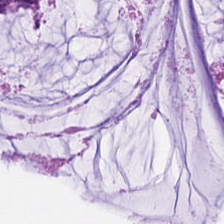Tissue class = mucin.
